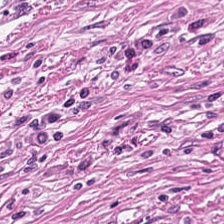Brightfield microscopy. H&E stain. 224×224 px patch. Finding → tumor-associated stroma.
